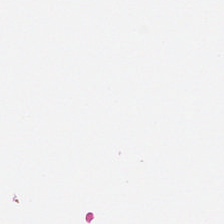{"content": "empty background"}
